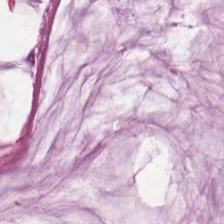Stain: H&E.
Tissue type: extracellular mucin.
